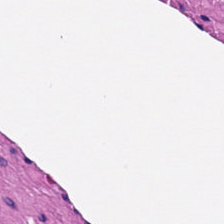Hematoxylin-and-eosin stained section; 224×224 px patch. Q: What tissue type is shown here?
A: This is smooth-muscle tissue.
